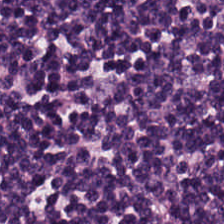H&E — lymphocyte aggregate.
